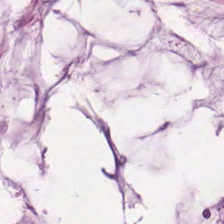H&E. Formalin-fixed paraffin-embedded section.
Histology — mucus.
